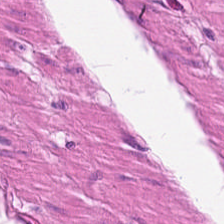H&E-stained tissue section. Showing muscularis.
